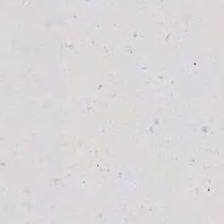Hematoxylin and eosin · 0.5 microns per pixel · 224×224 px tile — Q: Classify this patch.
A: Empty background.
